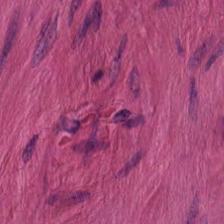H&E-stained tissue section · FFPE · brightfield. Tissue — smooth-muscle tissue.
